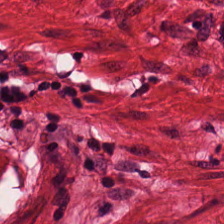H&E-stained tissue section; 224×224 px tile; WSI patch — The predominant tissue is smooth muscle.
